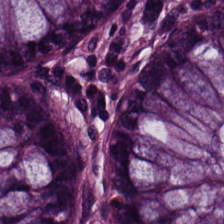H&E · 0.5 µm per pixel · FFPE tissue section.
{"tissue_type": "non-neoplastic colon mucosa"}
